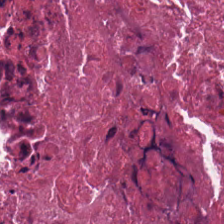0.5 µm per pixel; H&E-stained tissue section.
Tissue type: debris.
